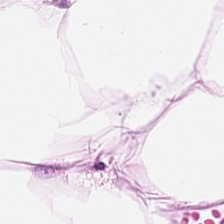H&E — Predominantly adipocytes.
